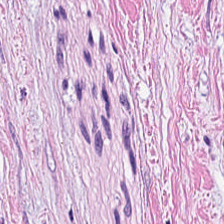H&E stain. Q: What is shown here?
A: It is tumor stroma.
